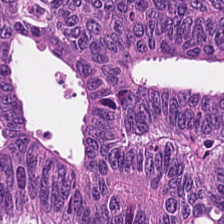H&E stain.
Predominantly colorectal adenocarcinoma.
